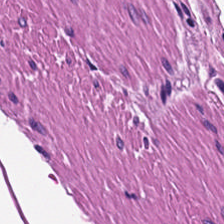H&E. 224×224 px patch.
Histology → smooth-muscle tissue.
